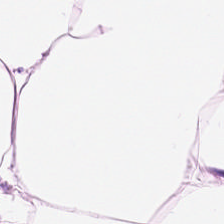Whole-slide-image patch · H&E. The classification is fat tissue.
